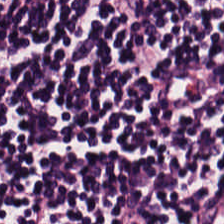Hematoxylin and eosin; 224×224 px patch.
The tissue type is lymphocytic infiltrate.
